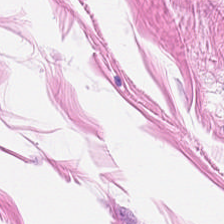H&E-stained section; the field shows smooth-muscle tissue.
